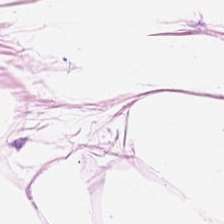Hematoxylin-and-eosin stained section.
Tissue class — adipose.
